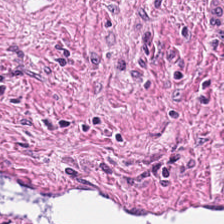FFPE; H&E. Q: What type of tissue is this?
A: It is cancer-associated stroma.
